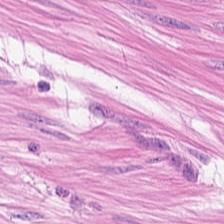0.5 µm per pixel · H&E. The classification is smooth-muscle tissue.
